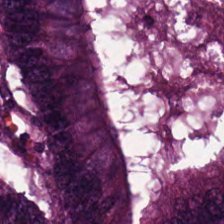Hematoxylin-and-eosin stained section. Tissue = adenocarcinoma.
